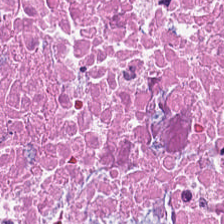H&E — This field is cellular debris.
